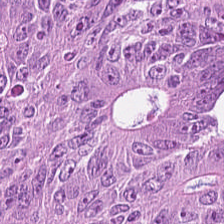0.5 µm per pixel · H&E stain.
Q: Classify this patch.
A: Colorectal adenocarcinoma.
